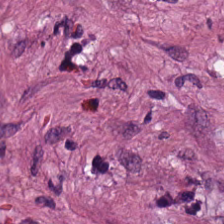Stain: hematoxylin and eosin.
Classification: cancer-associated stroma.
